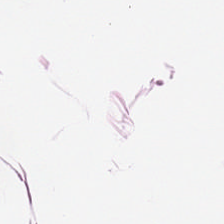Hematoxylin-and-eosin stained section.
Finding → adipocytes.
